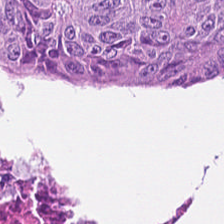0.5 microns per pixel. Hematoxylin-and-eosin stained section — Q: What is shown here?
A: The field shows malignant epithelium.
